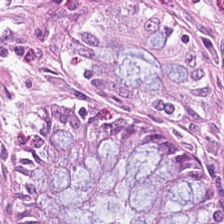H&E stain · FFPE — This field is normal colonic mucosa.
